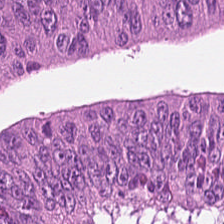H&E-stained tissue section — Showing colorectal adenocarcinoma.
